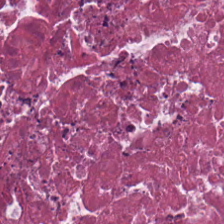H&E-stained tissue section; FFPE tissue section; 224×224 pixel tile.
Finding → debris.
